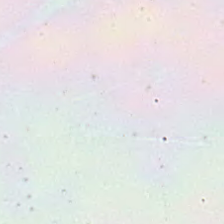Q: Classify this patch.
A: Background (no tissue).
